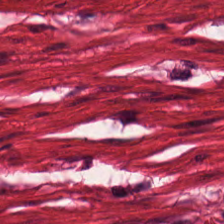Hematoxylin-and-eosin section: muscularis.
